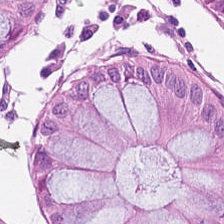Hematoxylin-and-eosin stained section. {"tissue_type": "non-neoplastic colon mucosa"}
